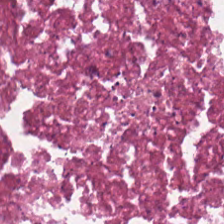Stain: H&E.
Resolution: 20× equivalent magnification.
Classification: debris.
